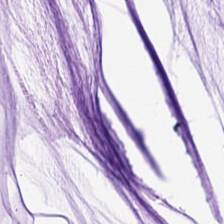H&E — Q: What does this patch show?
A: The field shows mucus.
